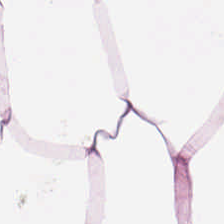Q: What is the predominant tissue type?
A: This is adipose.
